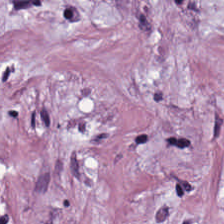H&E — The tissue here is tumor-associated stroma.
